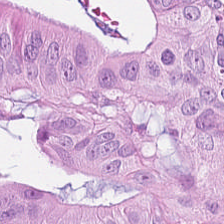Adenocarcinoma.
